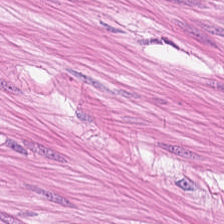Q: What tissue type is shown here?
A: It is muscularis.
